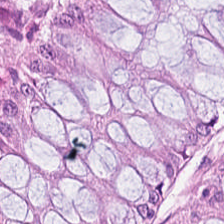0.5 µm/px. 224×224 px tile. H&E. Showing normal colonic mucosa.
